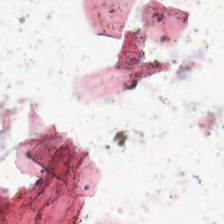FFPE. Hematoxylin-and-eosin stained section. Empty background.
